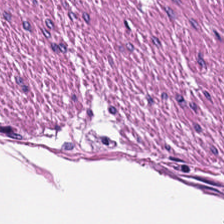Stain: H&E.
Tissue type: muscularis.
